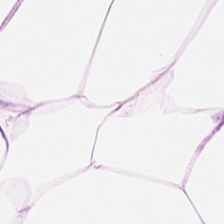Stain: hematoxylin-and-eosin stained section.
Preparation: FFPE tissue section.
Resolution: 0.5 µm/px.
Classification: adipose tissue.
